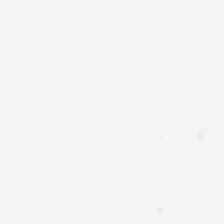Brightfield · FFPE tissue section · H&E-stained tissue section — Content — no tissue.
